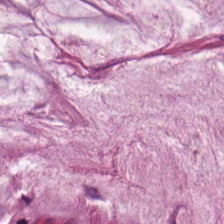Formalin-fixed paraffin-embedded section; H&E stain — Predominantly extracellular mucin.
